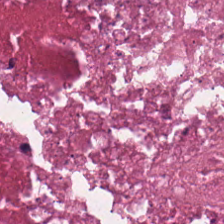Stain: H&E stain.
Predominant tissue: debris.
